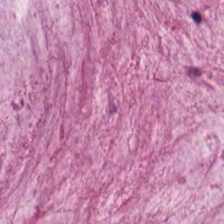Stain: H&E.
Classification: extracellular mucin.
